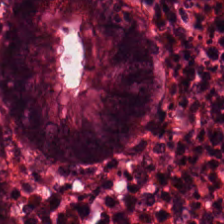0.5 µm/px; H&E. The tissue here is benign colonic mucosa.
